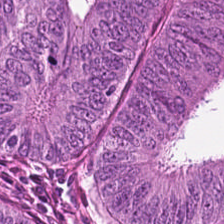H&E-stained tissue section · 224×224 pixel tile · FFPE tissue section — Histology → tumor epithelium.
